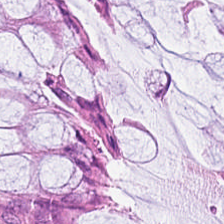H&E stain.
Showing benign colonic mucosa.
